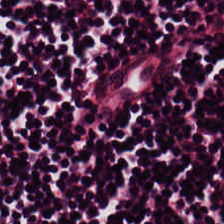H&E-stained tissue section.
Showing lymphocytic infiltrate.
